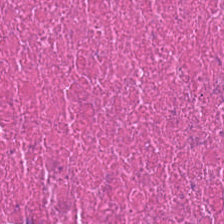Hematoxylin-and-eosin stained section · 224×224 px tile — Q: What tissue type is shown here?
A: Cellular debris.
